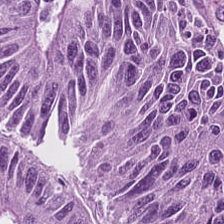Hematoxylin-and-eosin stained section — Showing malignant epithelium.
